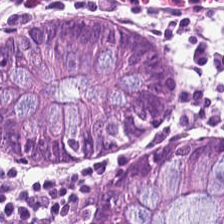Tissue class = benign colonic mucosa.
